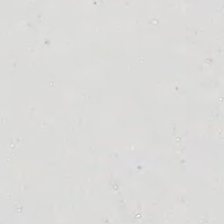Hematoxylin and eosin. Background (no tissue).
